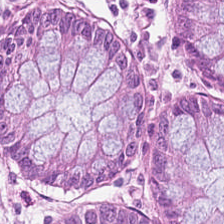Finding → benign colonic mucosa.
